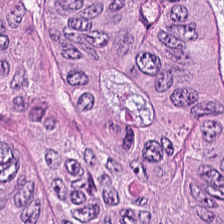Stain: H&E-stained tissue section.
Tissue type: colorectal adenocarcinoma.
